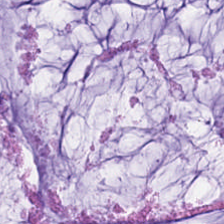H&E — Q: What does this patch show?
A: Extracellular mucin.
